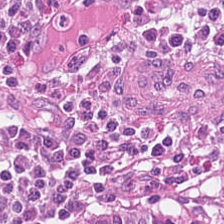H&E-stained tissue section. Finding → colorectal adenocarcinoma epithelium.
